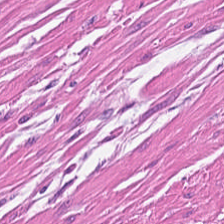H&E-stained tissue section — Q: Identify the tissue.
A: Smooth-muscle tissue.
